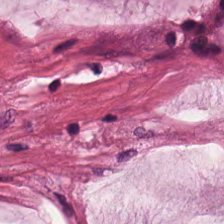H&E stain — Q: What does this patch show?
A: It is mucin.
